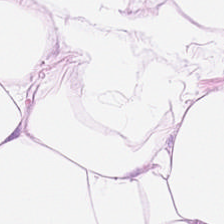This patch shows fat tissue.
